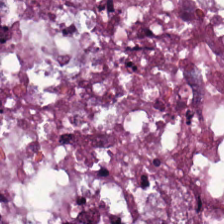224×224 px tile · FFPE · H&E.
Histology → colorectal adenocarcinoma.
